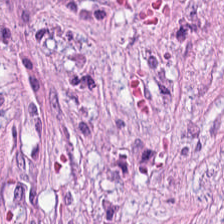Stain: H&E.
Preparation: formalin-fixed paraffin-embedded section.
Classification: tumor stroma.
